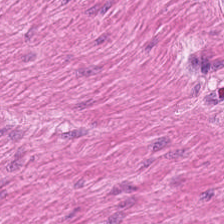H&E stain — This field is smooth-muscle tissue.
